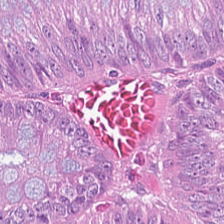Brightfield microscopy. Hematoxylin-and-eosin stained section — Predominantly adenocarcinoma.
